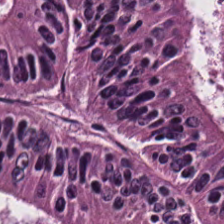Histology → tumor epithelium.
